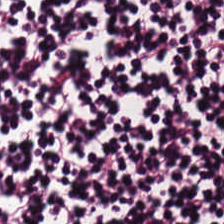Hematoxylin-and-eosin stained section; FFPE — Tissue type = lymphoid infiltrate.
